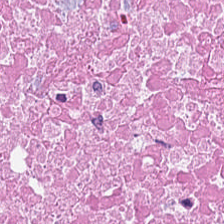Tissue — cellular debris.
